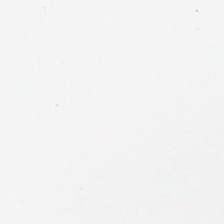Q: What does this patch show?
A: This is empty background.
